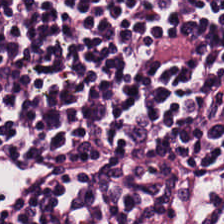0.5 microns per pixel · hematoxylin and eosin.
Finding → lymphocyte aggregate.
